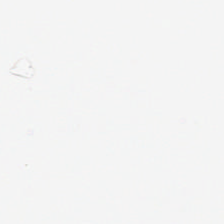No tissue present; background only.
